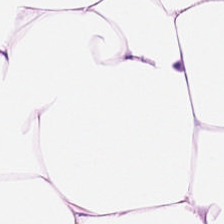H&E stain — This field is fat tissue.
